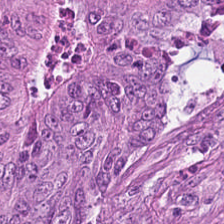Hematoxylin and eosin.
Malignant epithelium.
